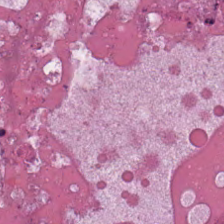Stain: hematoxylin and eosin.
Preparation: FFPE.
Acquisition: brightfield.
Tissue type: necrotic debris.
